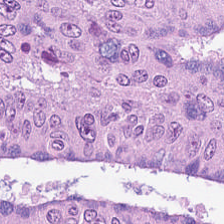H&E-stained tissue section. Tissue class = tumor epithelium.
